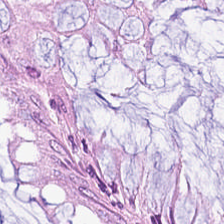H&E stain — Histology — non-neoplastic colon mucosa.
